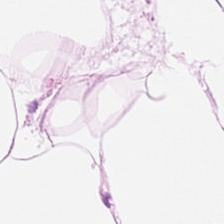Stain: hematoxylin and eosin.
Resolution: 0.5 microns per pixel.
Tile size: 224×224 pixel tile.
Classification: fat tissue.
